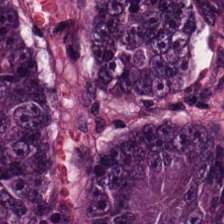Hematoxylin and eosin. Q: What is shown here?
A: This is adenocarcinoma.
